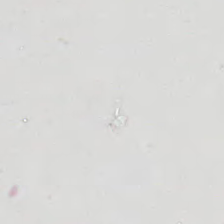H&E-stained tissue section — This field is background (no tissue).
